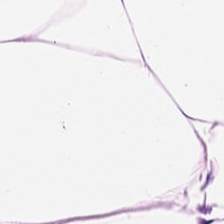H&E stain · brightfield microscopy — Predominant tissue = adipose tissue.
